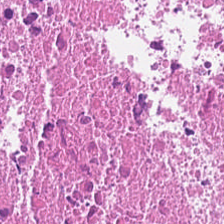H&E · FFPE tissue section · 20× equivalent magnification.
Finding — necrotic debris.
